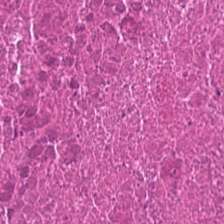H&E-stained section; the field shows necrotic debris.
